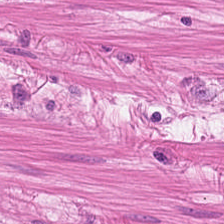H&E.
The predominant tissue is muscularis.
